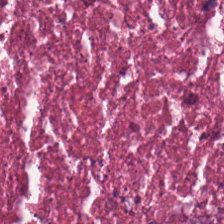Stain: hematoxylin-and-eosin stained section.
Resolution: 0.5 µm/px.
Predominant tissue: cellular debris.
